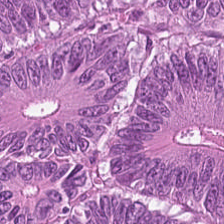Impression → tumor epithelium.
